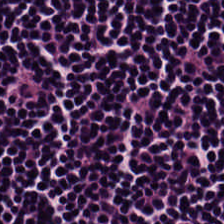Stain: H&E-stained tissue section.
Acquisition: WSI patch.
Tissue type: lymphoid infiltrate.
